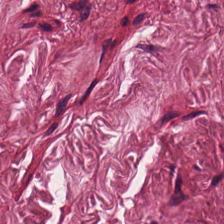H&E. Desmoplastic stroma.
